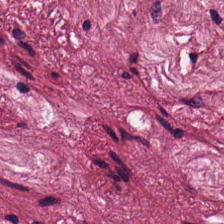Hematoxylin-and-eosin stained section — The tissue type is tumor stroma.
